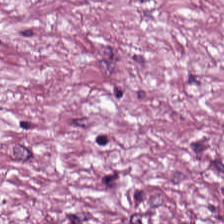H&E. Histology → tumor-associated stroma.
